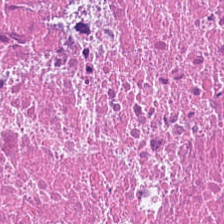Brightfield microscopy; H&E stain; 224×224 px patch — The predominant tissue is debris.
